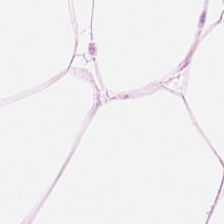Q: What is shown here?
A: It is adipocytes.
